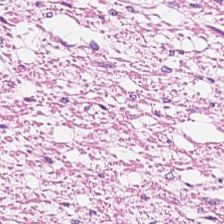Stain: hematoxylin and eosin.
Acquisition: brightfield.
Preparation: FFPE.
Tissue class: muscularis.
